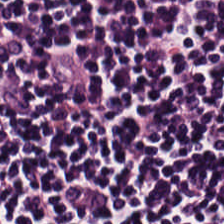H&E-stained tissue section; brightfield.
Showing lymphocytes.
